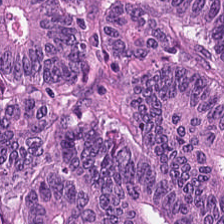224×224 px patch; H&E stain.
Impression → colorectal adenocarcinoma.
